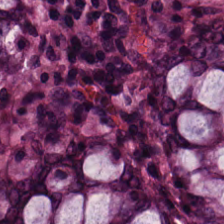H&E-stained tissue section — Tissue type — benign colonic mucosa.
